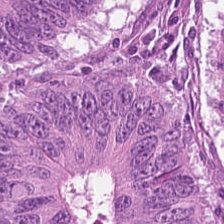Hematoxylin-and-eosin stained section; 0.5 µm per pixel.
Finding — colorectal adenocarcinoma epithelium.
